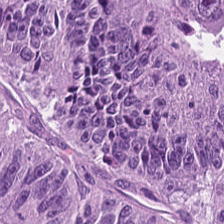H&E. 0.5 microns per pixel.
This patch shows adenocarcinoma.
